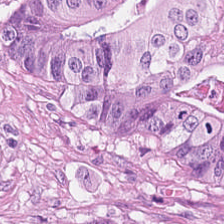Finding → tumor epithelium.
